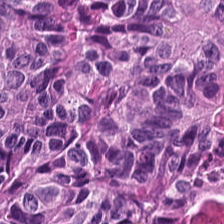Stain: H&E stain.
Tissue: tumor epithelium.
